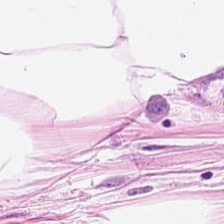224×224 pixel tile. Hematoxylin-and-eosin stained section — {"tissue_type": "fat tissue"}
